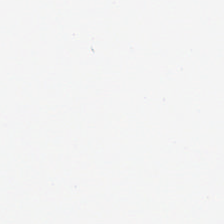0.5 µm per pixel; H&E-stained tissue section; 224×224 pixel tile. {"content": "empty background"}
